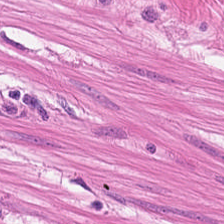H&E stain — Tissue class: smooth muscle.
